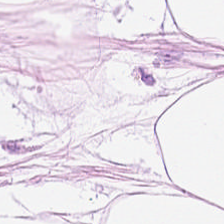Hematoxylin-and-eosin stained section · 0.5 µm/px · formalin-fixed paraffin-embedded section.
Q: What is the predominant tissue type?
A: Adipocytes.
